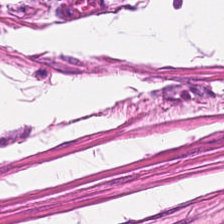Hematoxylin-and-eosin stained section. This field is smooth-muscle tissue.
